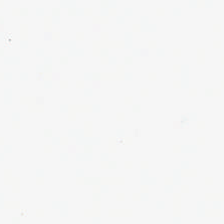Hematoxylin and eosin.
Q: What is shown here?
A: It is no tissue.
